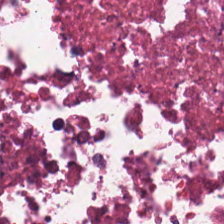{"tissue_type": "debris"}
